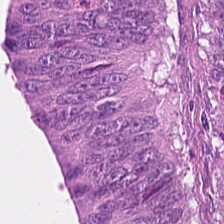Hematoxylin and eosin; 0.5 µm/px; 224×224 px tile.
Predominant tissue: tumor epithelium.
